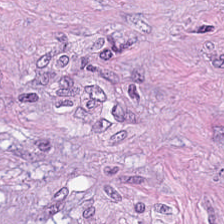224×224 pixel tile; H&E stain. Tissue type = desmoplastic stroma.
